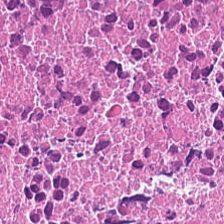Tissue class = necrotic debris.
